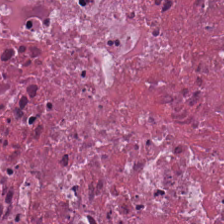224×224 px tile; hematoxylin and eosin.
This patch shows necrotic debris.
